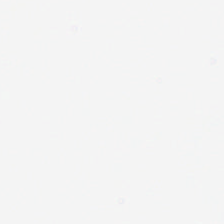224×224 px tile. H&E-stained tissue section. Brightfield. {"content": "background (no tissue)"}
